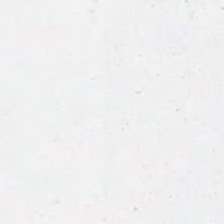H&E. Background — no tissue in this field.
